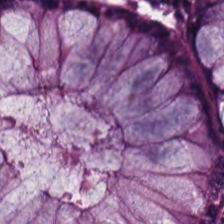H&E-stained tissue section.
The predominant tissue is non-neoplastic colon mucosa.
